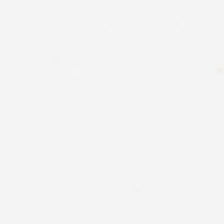WSI patch; FFPE tissue section; hematoxylin-and-eosin stained section — Field content: background.
